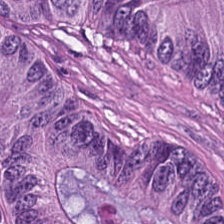Predominant tissue: malignant epithelium.
